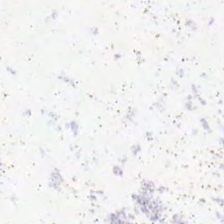Stain: H&E stain.
Resolution: 0.5 microns per pixel.
Content: empty background.
